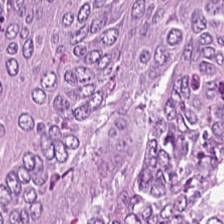Hematoxylin-and-eosin stained section — Predominantly colorectal adenocarcinoma epithelium.
